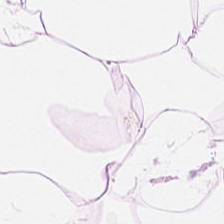H&E stain.
Q: What is shown here?
A: The field shows adipocytes.
